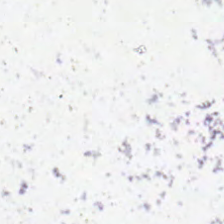224×224 px tile. H&E stain. 0.5 microns per pixel — This patch shows background (no tissue).
